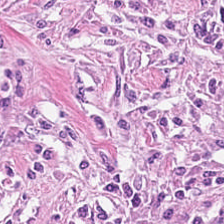Formalin-fixed paraffin-embedded section · hematoxylin-and-eosin stained section. The tissue here is tumor stroma.
